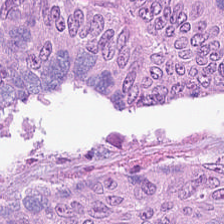Hematoxylin and eosin — Impression → adenocarcinoma.
